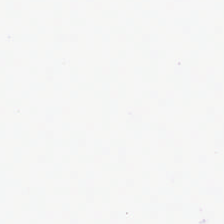WSI patch. H&E stain.
Finding — no tissue.
